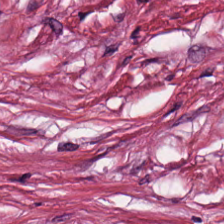H&E stain. Formalin-fixed paraffin-embedded section. 224×224 px patch — The predominant tissue is cancer-associated stroma.
